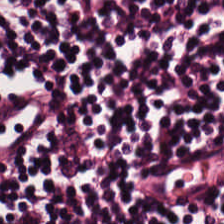Tissue class = lymphocyte aggregate.
